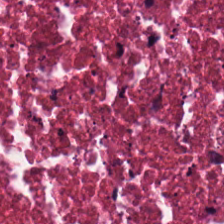Brightfield · H&E.
Predominantly necrotic debris.
